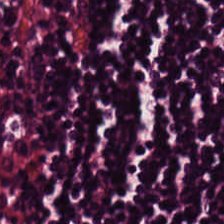Hematoxylin-and-eosin stained section — Showing lymphoid infiltrate.
